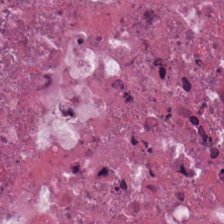Stain: hematoxylin and eosin.
Predominant tissue: debris.
